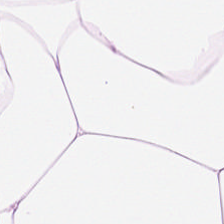Tissue class = adipose.
